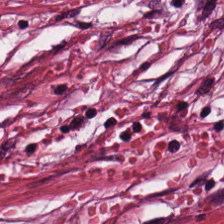0.5 microns per pixel. 224×224 pixel tile. H&E-stained tissue section. Q: What does this patch show?
A: Cancer-associated stroma.
